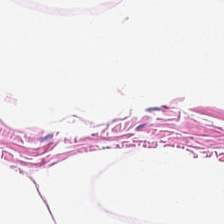Stain: hematoxylin and eosin.
Tissue type: adipocytes.
